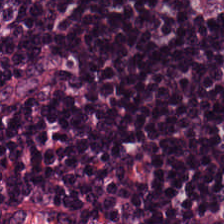Hematoxylin-and-eosin stained section. Showing lymphoid infiltrate.
